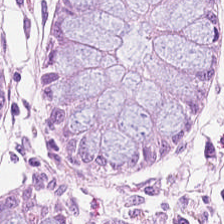Hematoxylin-and-eosin stained section. The predominant tissue is normal colon mucosa.
